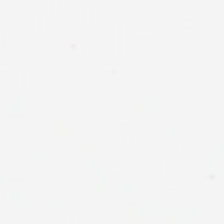Empty field — background (no tissue).
